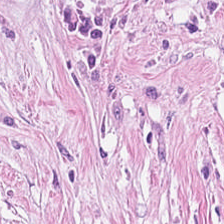Hematoxylin-and-eosin stained section · 224×224 px tile — Predominant tissue — desmoplastic stroma.
